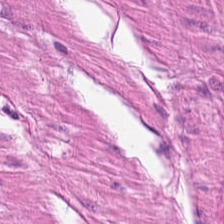Stain: H&E-stained tissue section.
Tissue: muscularis.
